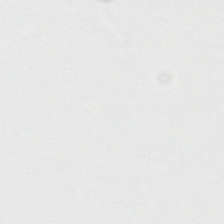Hematoxylin-and-eosin stained section — Classification: no tissue.
